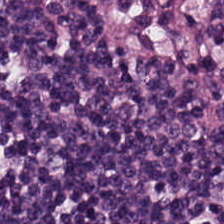Tissue class — lymphoid infiltrate.
